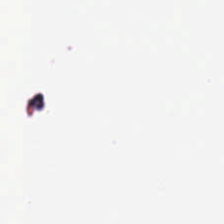Stain: H&E-stained tissue section.
Content: empty background.
